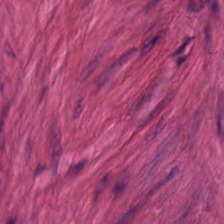Hematoxylin-and-eosin stained section — {"tissue_type": "muscularis"}
